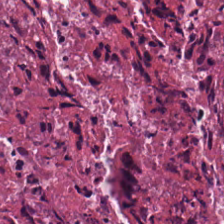H&E-stained tissue section · WSI patch. Tissue: necrotic debris.
